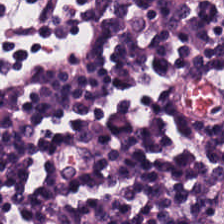Hematoxylin and eosin — Q: What is shown in this field?
A: It is lymphoid infiltrate.
